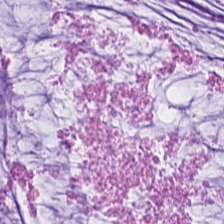Hematoxylin and eosin. {"tissue_type": "extracellular mucin"}
